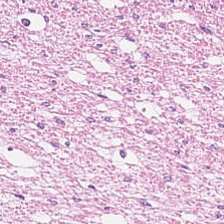Stain: H&E-stained tissue section.
Preparation: FFPE tissue section.
Resolution: 0.5 µm/px.
Tissue class: muscularis.
